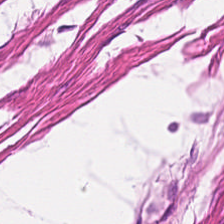H&E.
Tissue = smooth-muscle tissue.
